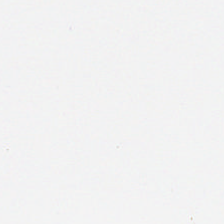224×224 pixel tile. Hematoxylin-and-eosin stained section — No tissue present; background only.
